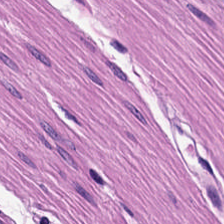Q: What tissue type is shown here?
A: The field shows muscularis.
